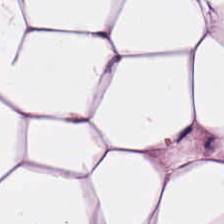Tissue — fat tissue.
